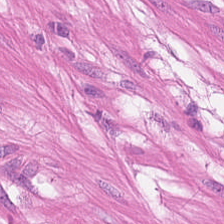H&E stain. This patch shows muscularis.
